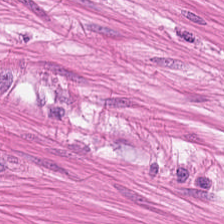Stain: hematoxylin-and-eosin stained section.
Acquisition: brightfield microscopy.
Tile size: 224×224 pixel tile.
Tissue type: smooth muscle.
